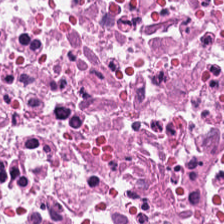H&E. FFPE. Predominantly debris.
